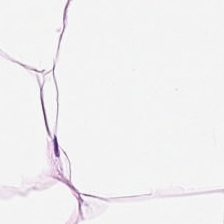H&E-stained tissue section · FFPE.
This field is fat tissue.
